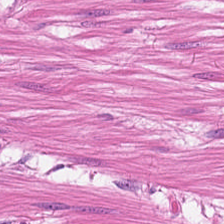Finding — muscularis.
